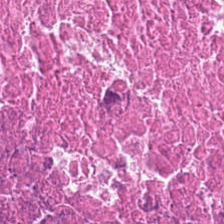WSI patch. Hematoxylin-and-eosin stained section.
{"tissue_type": "cellular debris"}
